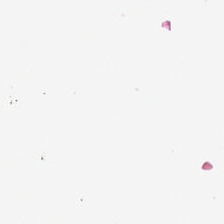The content is no tissue.
